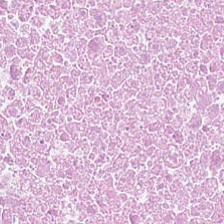Hematoxylin-and-eosin stained section. Brightfield microscopy. This patch shows cellular debris.
